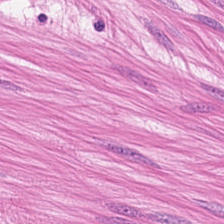H&E. {"tissue_type": "smooth-muscle tissue"}
